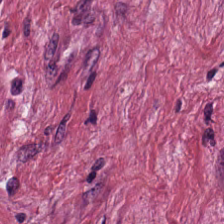Formalin-fixed paraffin-embedded section. H&E-stained tissue section.
Classification — tumor stroma.
